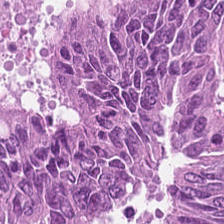Hematoxylin and eosin.
Tissue: malignant epithelium.
